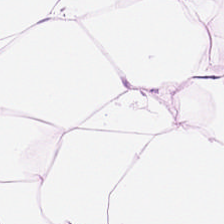H&E stain · 0.5 microns per pixel — The predominant tissue is adipose.
